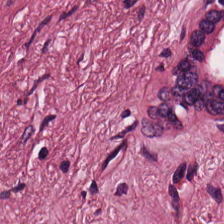Hematoxylin and eosin — {"tissue_type": "tumor stroma"}
